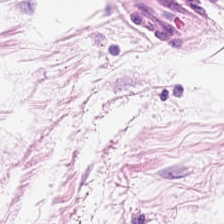Q: What tissue is shown?
A: This is adipose.
